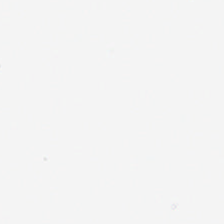Background — no tissue in this field.
